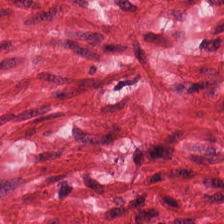H&E stain.
{"tissue_type": "smooth muscle"}
